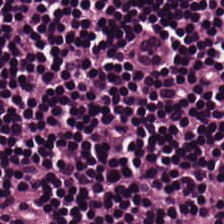H&E-stained tissue section.
Tissue: lymphoid infiltrate.
